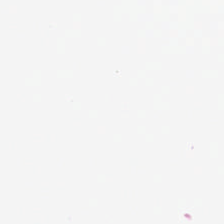Q: Classify this patch.
A: The field shows no tissue.
